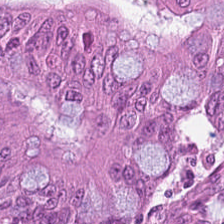This field is malignant epithelium.
